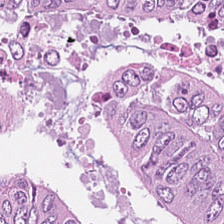H&E; brightfield. The predominant tissue is malignant epithelium.
